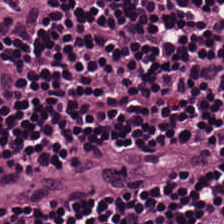H&E-stained tissue section.
Q: Identify the tissue.
A: It is lymphocytic infiltrate.
